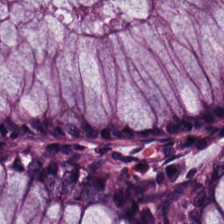Hematoxylin-and-eosin stained section · brightfield — Tissue class — normal colon mucosa.
